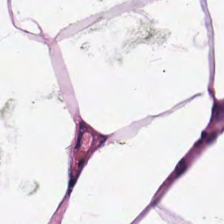Hematoxylin and eosin; 20× equivalent magnification. Predominantly adipose tissue.
